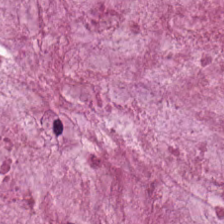H&E stain — Histology → mucin.
